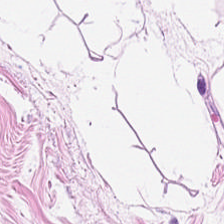H&E stain; brightfield microscopy.
Adipose.
